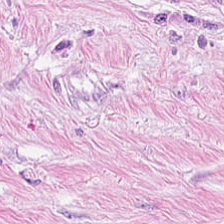Brightfield microscopy; H&E stain; 224×224 pixel tile — The tissue here is desmoplastic stroma.
